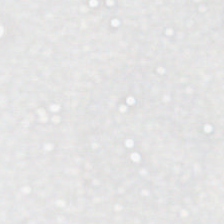Content = background.
